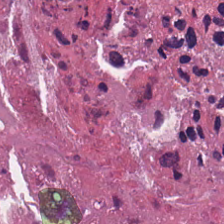224×224 px patch; hematoxylin-and-eosin stained section — Predominantly cellular debris.
